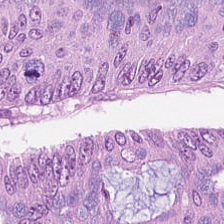This patch shows colorectal adenocarcinoma.
